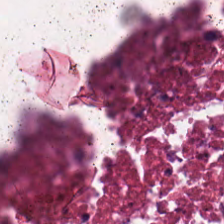Brightfield microscopy · hematoxylin-and-eosin stained section — Tissue type — cellular debris.
